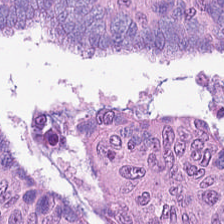Hematoxylin-and-eosin stained section.
The predominant tissue is colorectal adenocarcinoma.
